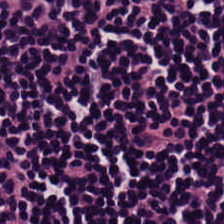H&E stain; formalin-fixed paraffin-embedded section. Q: What tissue is shown?
A: The field shows lymphoid infiltrate.
